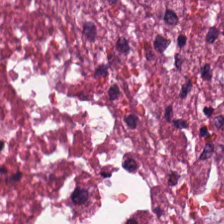Hematoxylin and eosin. Q: Classify this patch.
A: It is necrotic debris.
